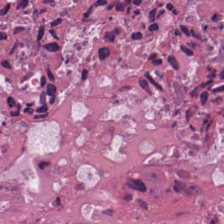0.5 µm per pixel. Hematoxylin and eosin — The tissue here is necrotic debris.
